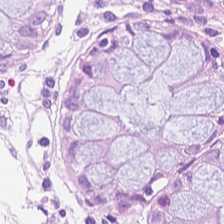H&E stain — Q: What does this patch show?
A: It is normal colon mucosa.
